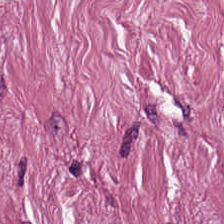H&E. Showing tumor stroma.
